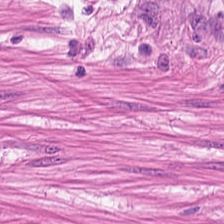FFPE tissue section; H&E; brightfield.
Smooth-muscle tissue.
